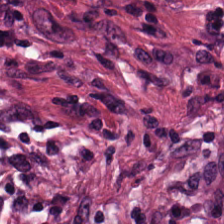Classification = tumor-associated stroma.
